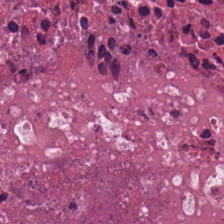H&E-stained tissue section.
The tissue here is necrotic debris.
